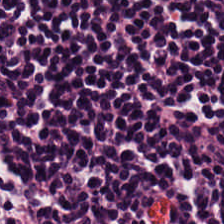Predominantly lymphocytic infiltrate.
